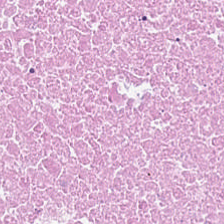Q: What is shown here?
A: This is necrotic debris.
